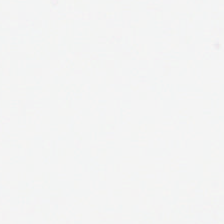Hematoxylin and eosin · whole-slide-image patch — Q: Classify this patch.
A: It is empty background.
